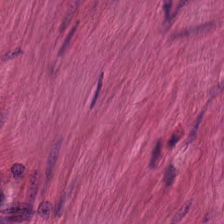224×224 px patch. 0.5 microns per pixel. H&E-stained tissue section — Tissue class = muscularis.
